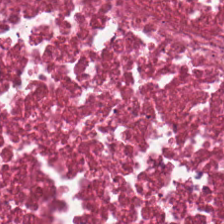This field is cellular debris.
